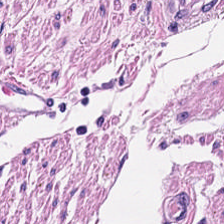H&E-stained tissue section — Classification: smooth-muscle tissue.
